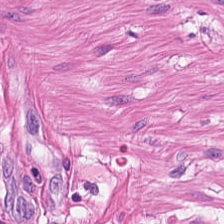H&E-stained tissue section; FFPE tissue section — Histology — smooth-muscle tissue.
